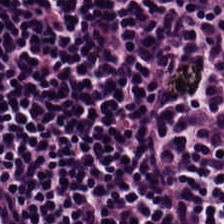Stain: hematoxylin and eosin.
Predominant tissue: lymphocytic infiltrate.
